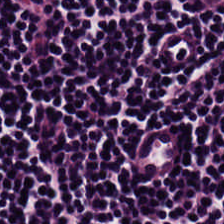Brightfield. H&E-stained tissue section. Showing lymphocytes.
